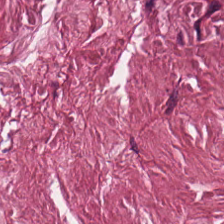H&E stain · brightfield microscopy — The predominant tissue is desmoplastic stroma.
